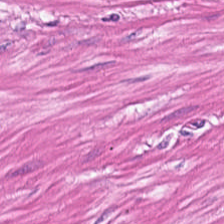Hematoxylin-and-eosin stained section.
Tissue class: smooth muscle.
